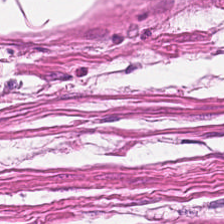Hematoxylin and eosin · WSI patch.
{"tissue_type": "smooth-muscle tissue"}
